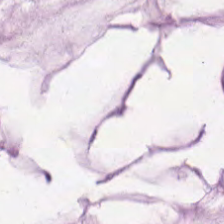Stain: hematoxylin-and-eosin stained section.
Predominant tissue: extracellular mucin.
